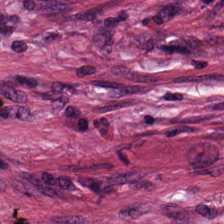H&E stain — Showing cancer-associated stroma.
